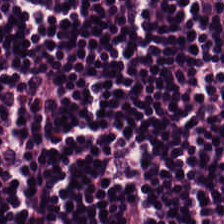FFPE tissue section · H&E stain.
Predominant tissue: lymphocytes.
